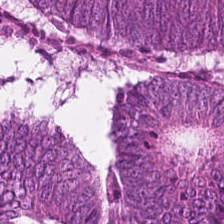H&E stain · whole-slide-image patch.
The predominant tissue is adenocarcinoma.
